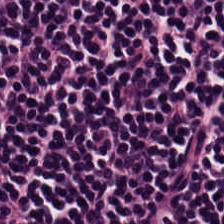H&E-stained tissue section. Impression → lymphocyte aggregate.
